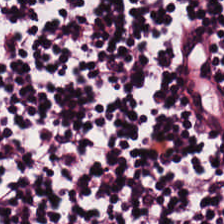Hematoxylin-and-eosin stained section.
Finding — lymphoid infiltrate.
